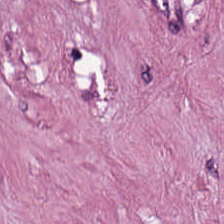Brightfield microscopy. Hematoxylin-and-eosin stained section.
Histology — tumor stroma.
